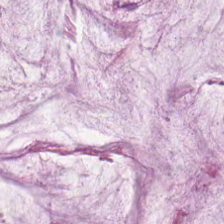Hematoxylin-and-eosin stained section; 20× equivalent magnification — Q: What is shown here?
A: The field shows mucus.
